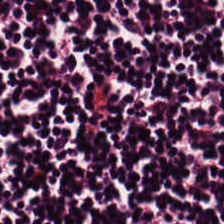FFPE; hematoxylin and eosin.
Tissue type = lymphoid infiltrate.
